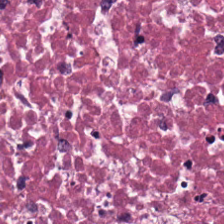Histology — cellular debris.
